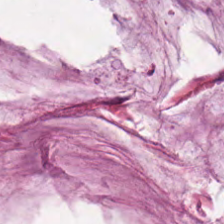Classification = extracellular mucin.
